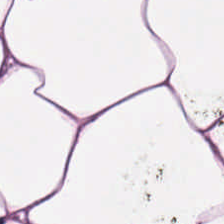Brightfield microscopy · hematoxylin-and-eosin stained section — Tissue type: adipose.
